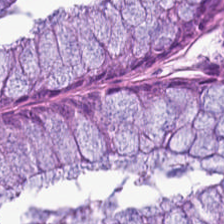H&E stain. Tissue class — non-neoplastic colon mucosa.
